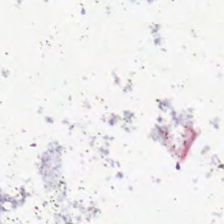0.5 µm/px; hematoxylin and eosin.
Classification — background (no tissue).
